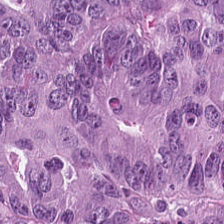This field is colorectal adenocarcinoma.
